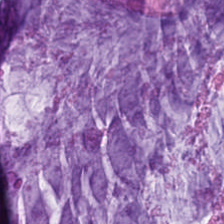H&E stain. Q: What tissue type is shown here?
A: Mucin.
